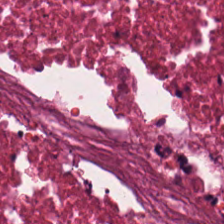Stain: H&E stain.
Resolution: 0.5 µm per pixel.
Classification: cellular debris.
